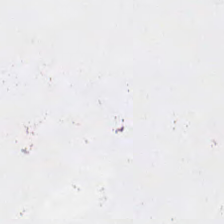Brightfield; H&E.
Empty background.
